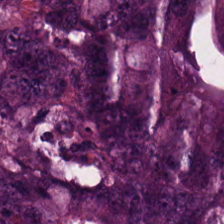H&E-stained tissue section; whole-slide-image patch — {"tissue_type": "adenocarcinoma"}
